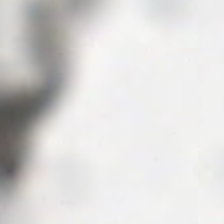Background — no tissue in this field.
